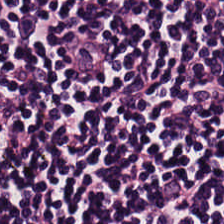0.5 microns per pixel · hematoxylin and eosin · 224×224 pixel tile.
The tissue is lymphocytic infiltrate.
